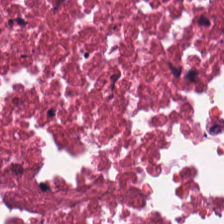Classification = debris.
